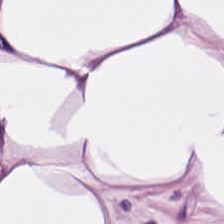H&E stain. Predominant tissue: fat tissue.
